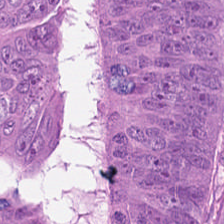Hematoxylin-and-eosin stained section.
Q: What does this patch show?
A: It is malignant epithelium.
